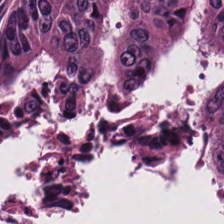H&E stain.
Predominantly colorectal adenocarcinoma.
